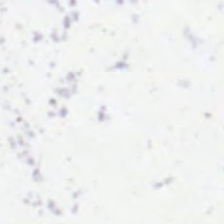Formalin-fixed paraffin-embedded section. Hematoxylin-and-eosin stained section. 0.5 µm per pixel. Content: background.
